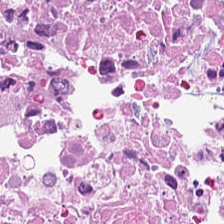Stain: hematoxylin-and-eosin stained section.
Predominant tissue: debris.
